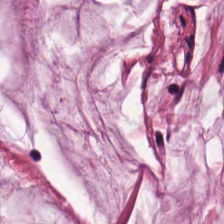H&E-stained tissue section. This patch shows mucus.
